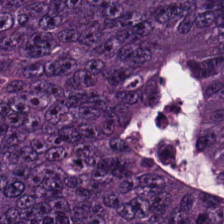H&E · 224×224 px tile · brightfield microscopy. The tissue here is adenocarcinoma.
